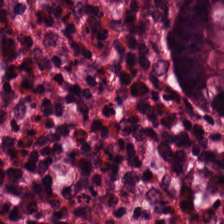FFPE. H&E stain. Non-neoplastic colon mucosa.
